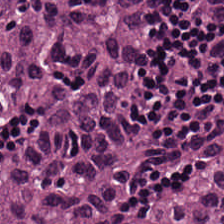Brightfield · H&E stain — Tissue type = colorectal adenocarcinoma epithelium.
